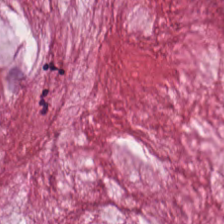H&E. This patch shows mucus.
